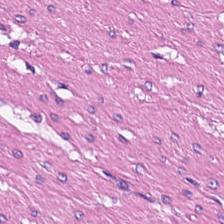Q: What type of tissue is this?
A: This is smooth muscle.
